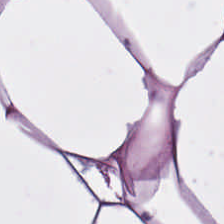Hematoxylin-and-eosin stained section — The tissue is adipocytes.
